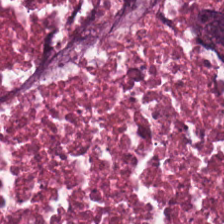The tissue is debris.
